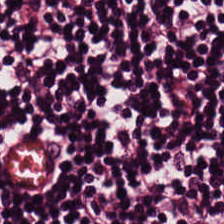Stain: H&E-stained tissue section.
Tile size: 224×224 px patch.
Predominant tissue: lymphocyte aggregate.
